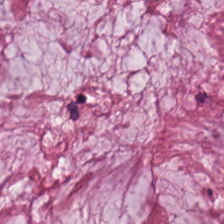Hematoxylin-and-eosin stained section. Showing mucus.
